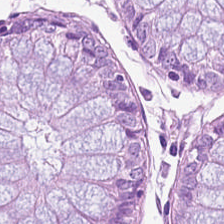Brightfield · H&E-stained tissue section.
This patch shows non-neoplastic colon mucosa.
